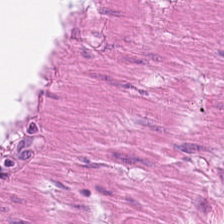Hematoxylin and eosin — Tissue type — muscularis.
